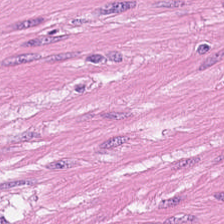H&E stain. Muscularis.
